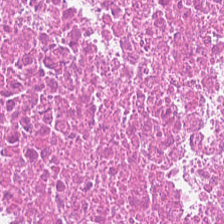H&E-stained tissue section. Showing debris.
